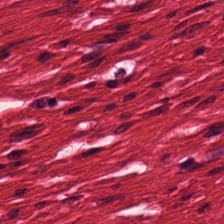H&E-stained tissue section · brightfield microscopy — Tissue type = smooth-muscle tissue.
